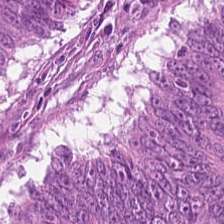224×224 pixel tile · H&E-stained tissue section. Histology → adenocarcinoma.
